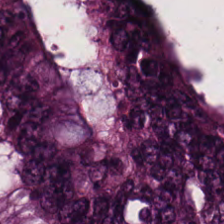Stain: hematoxylin-and-eosin stained section.
Predominant tissue: colorectal adenocarcinoma epithelium.
